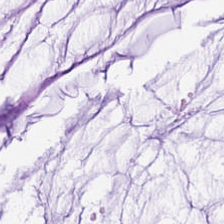Predominant tissue = mucus.
